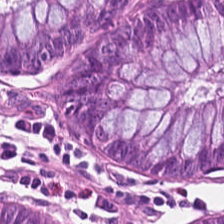WSI patch · H&E-stained tissue section — Predominant tissue — benign colonic mucosa.
